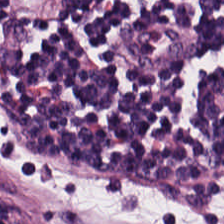H&E-stained tissue section; 0.5 µm per pixel; formalin-fixed paraffin-embedded section — Q: What tissue type is shown here?
A: Lymphocyte aggregate.
